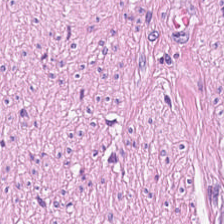Hematoxylin-and-eosin stained section. This patch shows smooth muscle.
